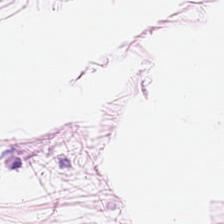H&E stain · whole-slide-image patch — {"tissue_type": "fat tissue"}
